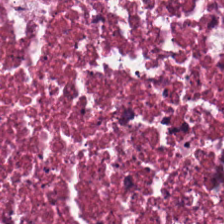0.5 microns per pixel · FFPE · H&E stain — Q: What is shown in this field?
A: It is debris.
